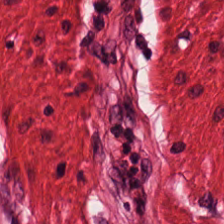H&E.
Tissue = smooth muscle.
